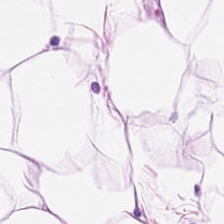Hematoxylin and eosin. Showing adipose tissue.
